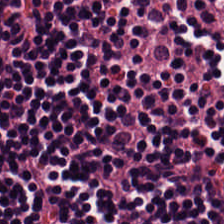0.5 µm/px; hematoxylin-and-eosin stained section. {"tissue_type": "lymphocytic infiltrate"}
